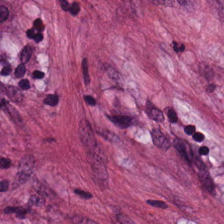H&E · brightfield. The predominant tissue is cancer-associated stroma.
